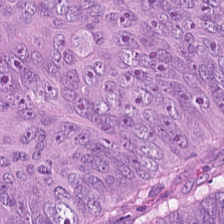H&E. {"tissue_type": "tumor epithelium"}
